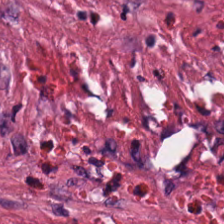224×224 px tile. Brightfield microscopy. Hematoxylin-and-eosin stained section — This patch shows tumor-associated stroma.
